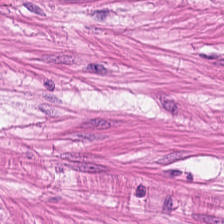Stain: hematoxylin-and-eosin stained section.
Tissue: muscularis.
